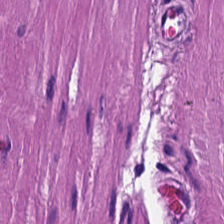Hematoxylin and eosin — Showing smooth muscle.
